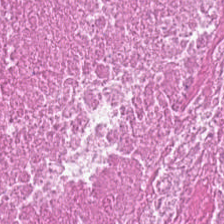Showing debris.
